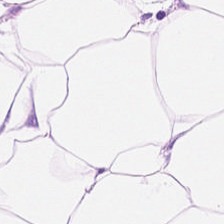Hematoxylin and eosin. Adipose.
